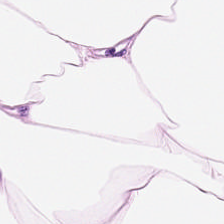H&E — adipose tissue.
